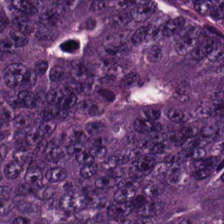Formalin-fixed paraffin-embedded section; hematoxylin and eosin.
Q: What type of tissue is this?
A: Colorectal adenocarcinoma.
